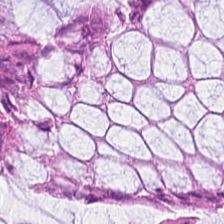H&E; 224×224 px tile — This field is benign colonic mucosa.
